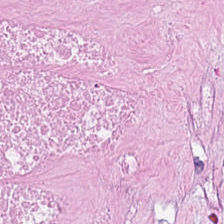H&E stain; 0.5 microns per pixel.
Q: What tissue is shown?
A: Cellular debris.
